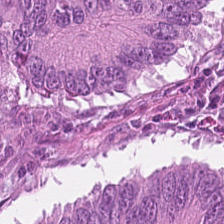The tissue type is adenocarcinoma.
